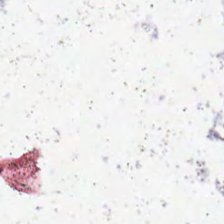H&E-stained tissue section; whole-slide-image patch. This field is background (no tissue).
